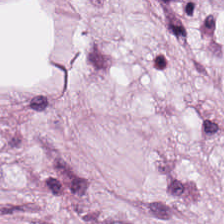Hematoxylin-and-eosin section: adipose tissue.
